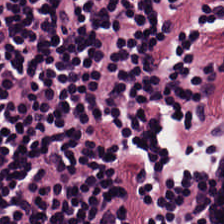The tissue is lymphoid infiltrate.
